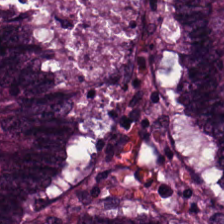H&E.
This field is colorectal adenocarcinoma epithelium.
